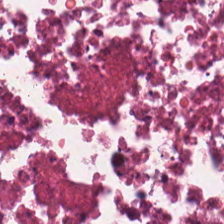FFPE tissue section · H&E-stained tissue section · whole-slide-image patch.
Impression → debris.
